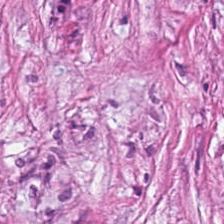H&E-stained tissue section. Tissue = cancer-associated stroma.
